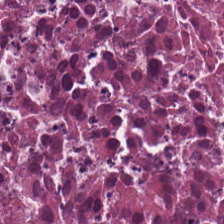Hematoxylin-and-eosin stained section.
Classification — cellular debris.
